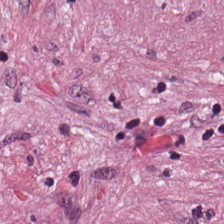Hematoxylin-and-eosin stained section — Predominantly desmoplastic stroma.
